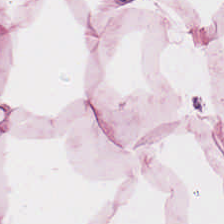H&E. 0.5 µm per pixel. 224×224 px tile. Histology — adipose tissue.
